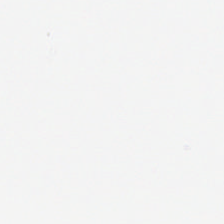Background — no tissue in this field.
